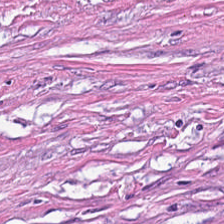Q: What is shown in this field?
A: This is tumor stroma.
